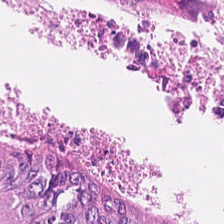H&E stain — Tissue class: adenocarcinoma.
